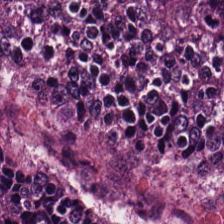224×224 px tile. Hematoxylin and eosin. Malignant epithelium.
